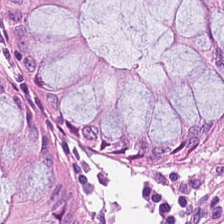Hematoxylin-and-eosin stained section.
Predominantly normal colon mucosa.
